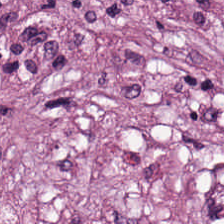Stain: H&E stain.
Tissue: cancer-associated stroma.
